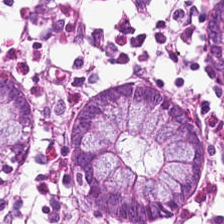H&E-stained tissue section — Finding — normal colon mucosa.
